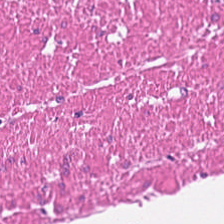Q: Classify this patch.
A: The field shows muscularis.
